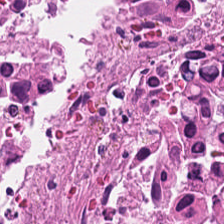H&E stain. FFPE tissue section. 224×224 px patch. Predominant tissue — debris.
